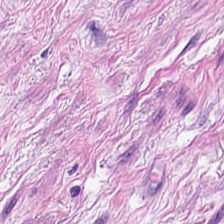Brightfield; 20× equivalent magnification; H&E stain. Histology → smooth muscle.
